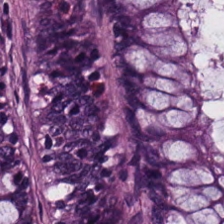Formalin-fixed paraffin-embedded section; 20× equivalent magnification; H&E — The tissue type is normal colon mucosa.
